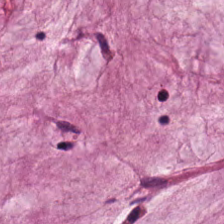H&E stain; 0.5 µm/px — The tissue is extracellular mucin.
